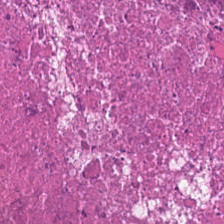Stain: H&E.
Resolution: 0.5 µm per pixel.
Predominant tissue: cellular debris.
